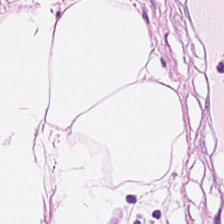H&E; FFPE.
Q: What is the predominant tissue type?
A: It is adipocytes.
